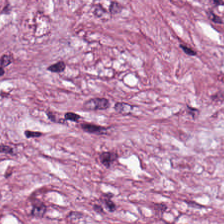H&E stain.
Finding — cancer-associated stroma.
